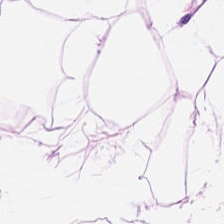224×224 px patch. H&E stain.
Predominant tissue — fat tissue.
